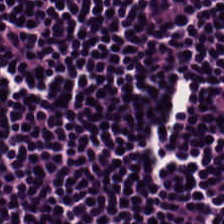The classification is lymphocytic infiltrate.
